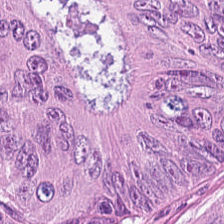H&E stain; 20× equivalent magnification.
Adenocarcinoma.
